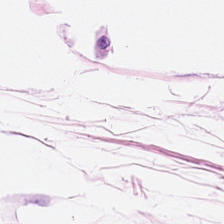H&E stain. Tissue — adipose tissue.
